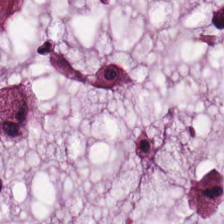0.5 microns per pixel. H&E. 224×224 pixel tile — This patch shows mucus.
